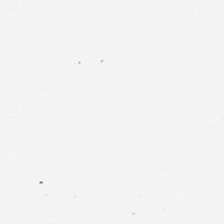H&E stain. Histology — no tissue.
